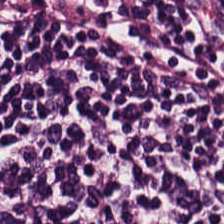Hematoxylin and eosin. FFPE.
This patch shows lymphocyte aggregate.
